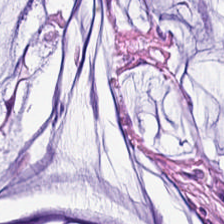WSI patch · hematoxylin-and-eosin stained section · 224×224 px patch. Q: What type of tissue is this?
A: The field shows mucus.
